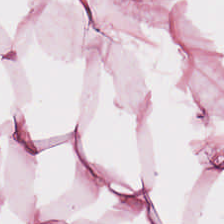FFPE. WSI patch. Hematoxylin-and-eosin stained section.
Finding → adipocytes.
